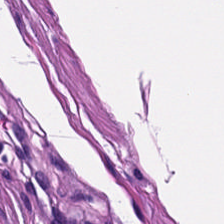H&E. Predominantly muscularis.
